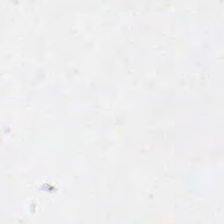Stain: H&E stain.
Content: no tissue.
